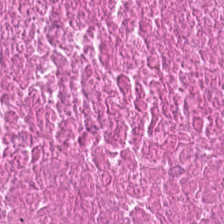Stain: H&E.
Preparation: formalin-fixed paraffin-embedded section.
Classification: debris.
